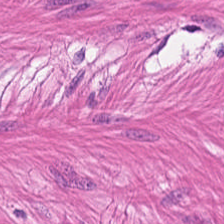H&E stain.
Smooth muscle.
